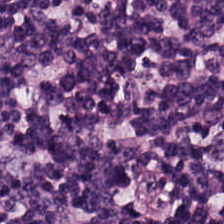WSI patch · hematoxylin and eosin · 0.5 µm per pixel. Showing lymphocytic infiltrate.
